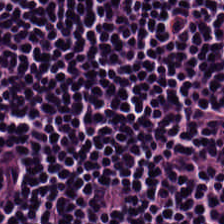Q: Identify the tissue.
A: It is lymphocytic infiltrate.
